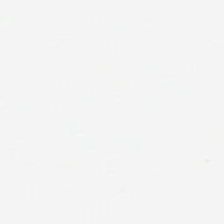Q: Classify this patch.
A: The field shows background (no tissue).
